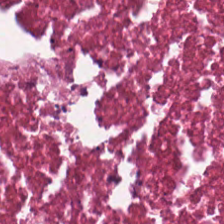Hematoxylin-and-eosin section: necrotic debris.
